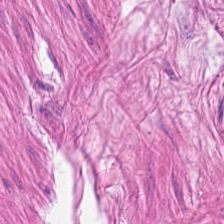Classification: smooth-muscle tissue.
